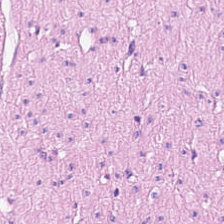Formalin-fixed paraffin-embedded section; 224×224 px tile; hematoxylin and eosin. Histology — muscularis.
